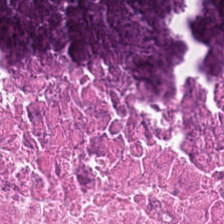20× equivalent magnification; H&E; 224×224 px patch. The tissue here is debris.
